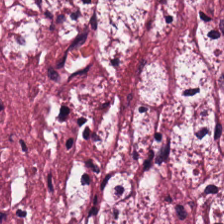Hematoxylin-and-eosin stained section.
Classification — desmoplastic stroma.
